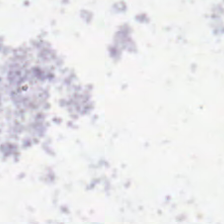Stain: H&E-stained tissue section.
Acquisition: brightfield.
Tile size: 224×224 pixel tile.
Field content: no tissue.
